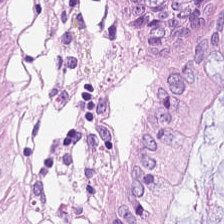Hematoxylin and eosin.
Histology — benign colonic mucosa.
